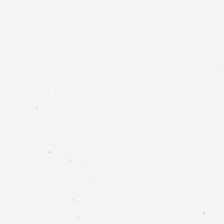Hematoxylin and eosin. 0.5 microns per pixel. {"content": "background"}
